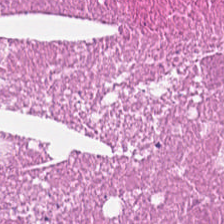The classification is necrotic debris.
